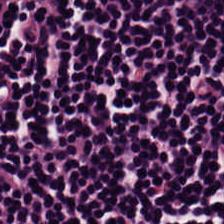H&E-stained tissue section showing lymphoid infiltrate.
